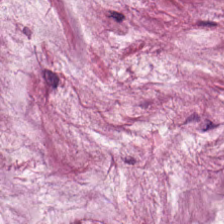Q: What is shown in this field?
A: The field shows mucus.
